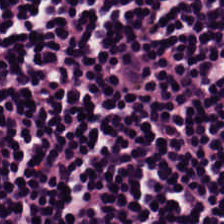Q: Classify this patch.
A: Lymphocytes.
